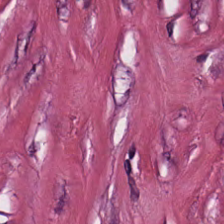H&E — Showing tumor stroma.
